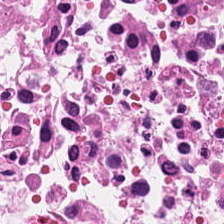Brightfield microscopy · H&E.
Impression → cellular debris.
